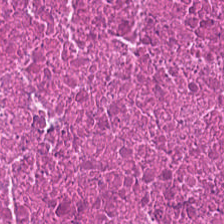H&E-stained tissue section — Showing debris.
